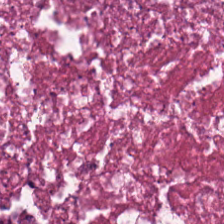Hematoxylin-and-eosin stained section. Showing debris.
